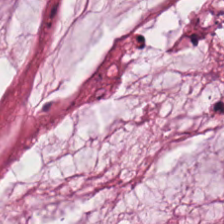224×224 pixel tile. H&E stain. WSI patch. Q: What tissue type is shown here?
A: It is mucus.
